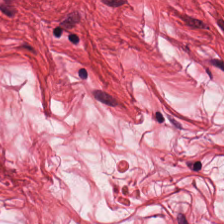Brightfield microscopy. Hematoxylin and eosin. 0.5 µm per pixel. Showing smooth muscle.
